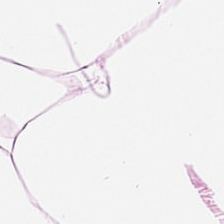H&E stain — This field is fat tissue.
